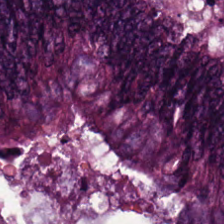The tissue here is adenocarcinoma.
